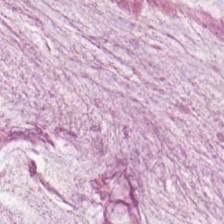Hematoxylin and eosin; 0.5 µm/px. This patch shows mucus.
